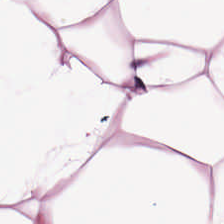20× equivalent magnification; H&E stain.
Predominantly fat tissue.
